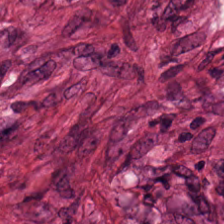Hematoxylin-and-eosin stained section. 224×224 pixel tile.
This patch shows desmoplastic stroma.
